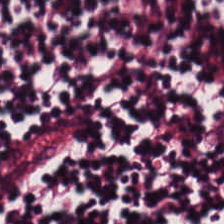Tissue = lymphocytes.
